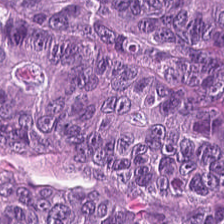Hematoxylin-and-eosin stained section. The predominant tissue is malignant epithelium.
